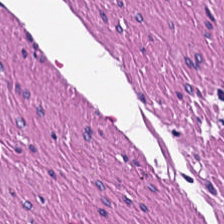Tissue = smooth-muscle tissue.
